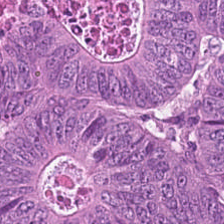H&E-stained tissue section.
Showing adenocarcinoma.
